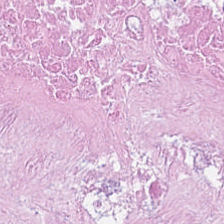H&E stain · 20× equivalent magnification.
This patch shows debris.
